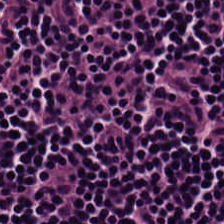H&E stain.
Finding → lymphocytes.
